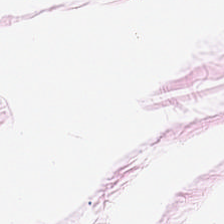0.5 µm per pixel; hematoxylin-and-eosin stained section. Histology — adipocytes.
